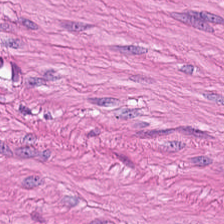H&E — smooth-muscle tissue.
